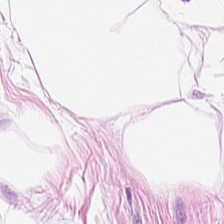Brightfield microscopy. FFPE tissue section. H&E-stained tissue section.
Adipose tissue.
